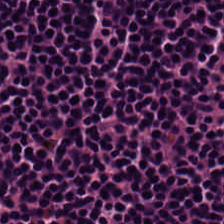H&E. Q: What type of tissue is this?
A: It is lymphocyte aggregate.
